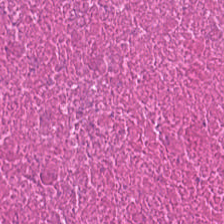Tissue — debris.
